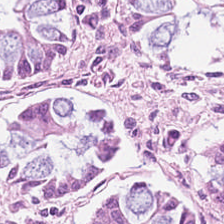Hematoxylin and eosin · FFPE — Q: What is shown in this field?
A: It is normal colon mucosa.
